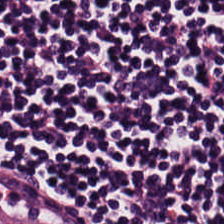Hematoxylin and eosin. WSI patch. 0.5 µm per pixel — Q: What is shown in this field?
A: It is lymphoid infiltrate.
